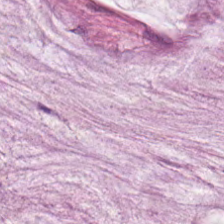Hematoxylin-and-eosin stained section. 0.5 µm/px.
Showing mucin.
